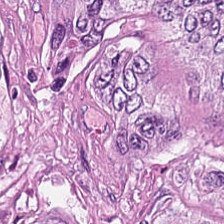224×224 pixel tile · 0.5 µm per pixel · hematoxylin-and-eosin stained section. Q: What does this patch show?
A: It is tumor epithelium.
